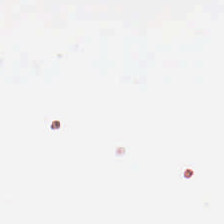Hematoxylin and eosin.
Classification: empty background.
